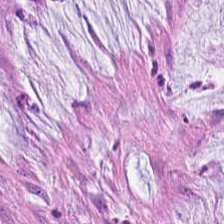Hematoxylin-and-eosin stained section. Tissue — mucin.
